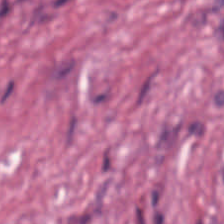Tumor-associated stroma.
